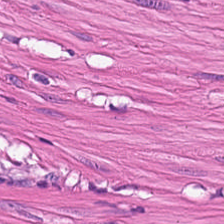Hematoxylin-and-eosin stained section.
This field is smooth-muscle tissue.
